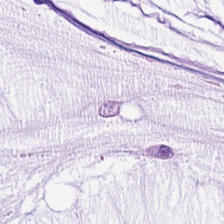Hematoxylin and eosin.
{"tissue_type": "extracellular mucin"}
